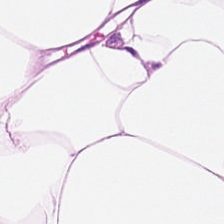H&E stain. Histology — adipose.
